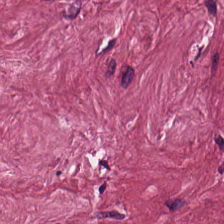This patch shows tumor stroma.
